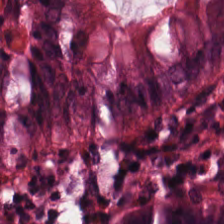H&E — non-neoplastic colon mucosa.
